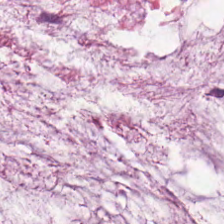{"tissue_type": "mucin"}
